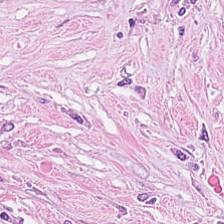Tissue class — desmoplastic stroma.
